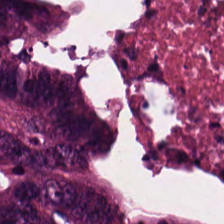Hematoxylin-and-eosin stained section. 224×224 px tile. 20× equivalent magnification.
Q: What is shown here?
A: The field shows tumor epithelium.
